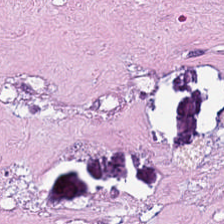H&E-stained tissue section — Finding → necrotic debris.
